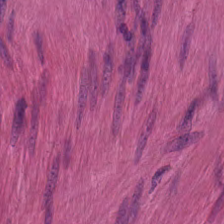Stain: H&E stain.
Resolution: 0.5 microns per pixel.
Tile size: 224×224 px tile.
Tissue: muscularis.
